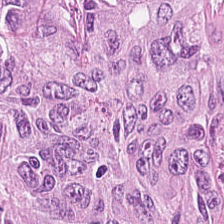Hematoxylin-and-eosin stained section.
Tissue type — malignant epithelium.
